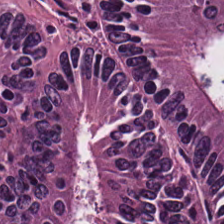FFPE; H&E stain.
Q: Identify the tissue.
A: The field shows colorectal adenocarcinoma.
